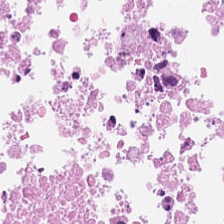Whole-slide-image patch. H&E stain. 20× equivalent magnification. This patch shows necrotic debris.
